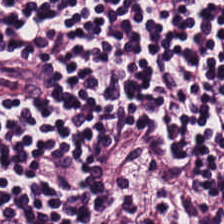Hematoxylin-and-eosin stained section; 224×224 px tile; FFPE tissue section. Showing lymphocytic infiltrate.
